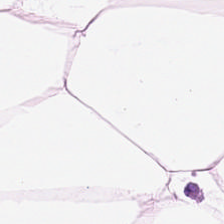Stain: H&E-stained tissue section.
Tissue class: adipose.
